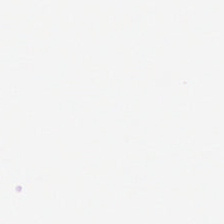Hematoxylin and eosin. 20× equivalent magnification. Q: What is shown here?
A: The field shows background (no tissue).
